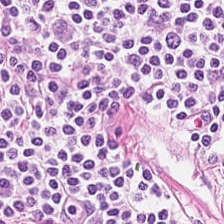Hematoxylin and eosin — The predominant tissue is lymphocyte aggregate.
